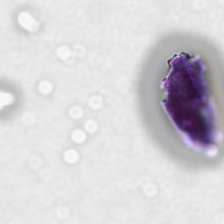Impression → background (no tissue).
